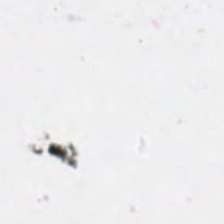Hematoxylin-and-eosin stained section · 224×224 px patch · whole-slide-image patch — This field is background (no tissue).
